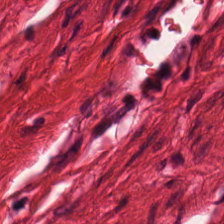Hematoxylin and eosin · FFPE tissue section — Predominantly smooth-muscle tissue.
